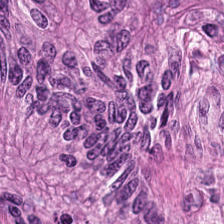H&E-stained tissue section.
The tissue here is tumor epithelium.
